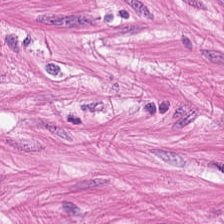H&E-stained tissue section; whole-slide-image patch — Q: What is the predominant tissue type?
A: This is smooth muscle.
